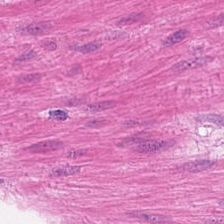Hematoxylin and eosin — Finding → smooth-muscle tissue.
